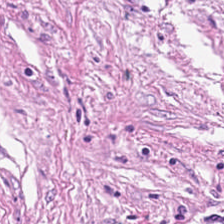Whole-slide-image patch. Hematoxylin and eosin.
This patch shows desmoplastic stroma.
